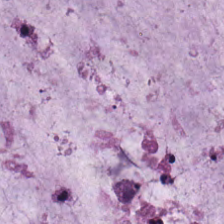H&E stain — This patch shows extracellular mucin.
